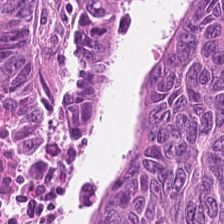Hematoxylin and eosin. Formalin-fixed paraffin-embedded section. 224×224 px tile. This patch shows malignant epithelium.
